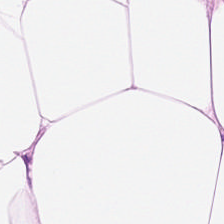Histology → adipose tissue.
